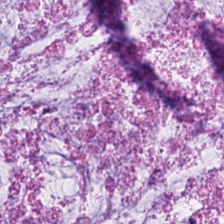Stain: hematoxylin-and-eosin stained section.
Tile size: 224×224 px patch.
Resolution: 0.5 µm per pixel.
Tissue type: mucus.
